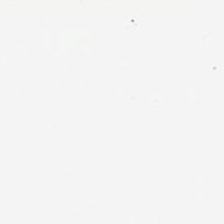H&E stain. This patch shows background.
